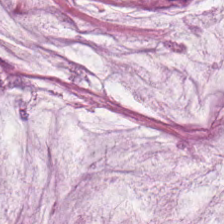H&E-stained tissue section.
Tissue = mucin.
